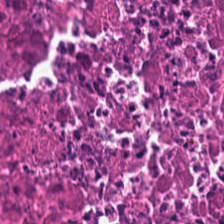Hematoxylin-and-eosin stained section. Tissue = debris.
